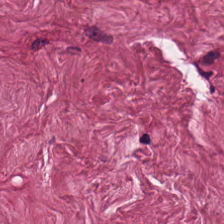FFPE · H&E-stained tissue section. The predominant tissue is cancer-associated stroma.
